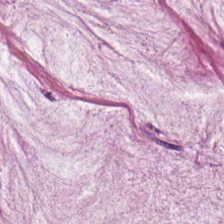H&E stain.
Mucus.
